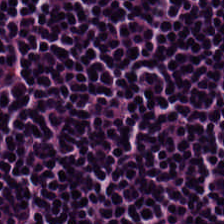Predominant tissue — lymphocyte aggregate.
